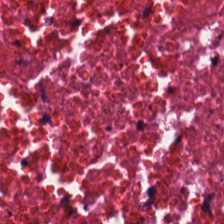Formalin-fixed paraffin-embedded section. H&E-stained tissue section. 224×224 px patch.
Q: Identify the tissue.
A: Debris.
